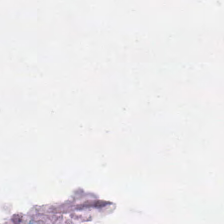H&E stain. This field is background (no tissue).
